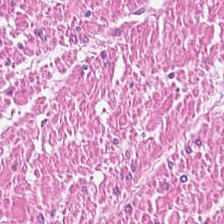20× equivalent magnification. 224×224 pixel tile. H&E stain — Tissue — muscularis.
